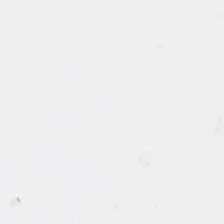H&E-stained tissue section.
This field is background (no tissue).
